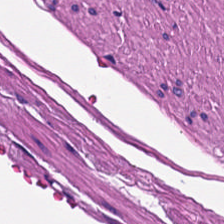H&E. Histology → smooth-muscle tissue.
